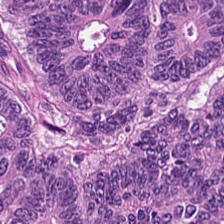Q: What is shown here?
A: Adenocarcinoma.
